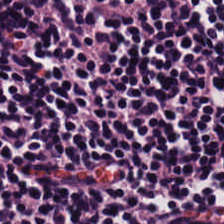0.5 µm per pixel; FFPE tissue section; H&E. Tissue type: lymphocytes.
